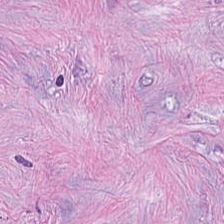H&E · 20× equivalent magnification · 224×224 px tile. Showing tumor-associated stroma.
